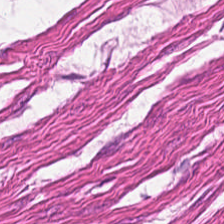Hematoxylin-and-eosin stained section. FFPE. Classification — muscularis.
